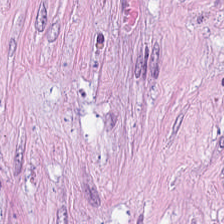Brightfield microscopy; H&E-stained tissue section; FFPE.
{"tissue_type": "tumor stroma"}
